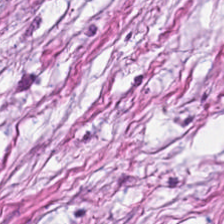H&E stain; 224×224 px tile — Histology — tumor stroma.
